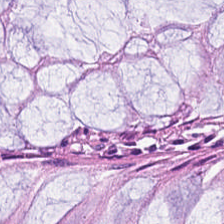Hematoxylin and eosin — Classification = normal colon mucosa.
